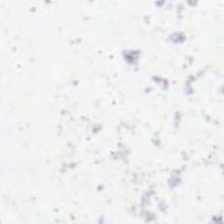H&E. No tissue present; background only.
